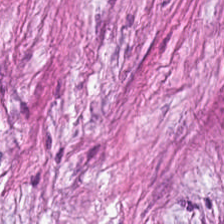Hematoxylin and eosin — Impression — tumor-associated stroma.
